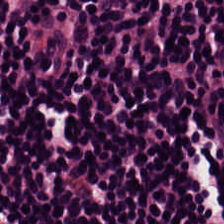Brightfield. H&E stain. Finding — lymphoid infiltrate.
